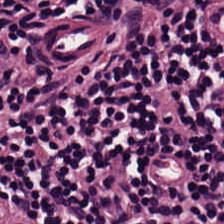Hematoxylin-and-eosin stained section. Predominantly lymphocytic infiltrate.
